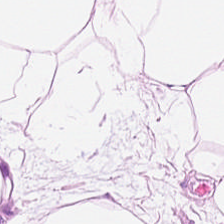H&E stain. Predominantly adipose.
